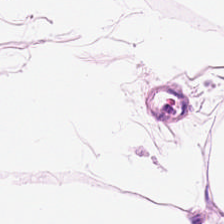This field is adipose.
